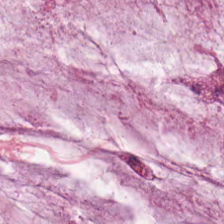H&E. {"tissue_type": "mucin"}
